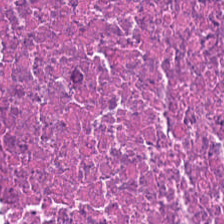0.5 µm per pixel; hematoxylin-and-eosin stained section. Tissue = cellular debris.
